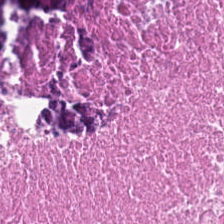H&E; FFPE. The tissue here is cellular debris.
